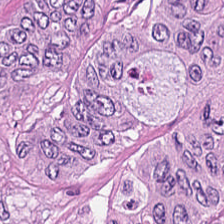H&E — The predominant tissue is malignant epithelium.
